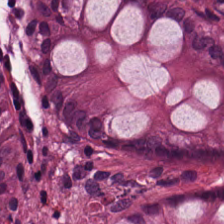Stain: hematoxylin and eosin.
Predominant tissue: non-neoplastic colon mucosa.
